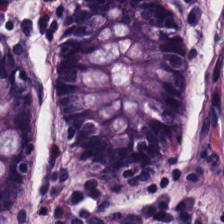H&E-stained section; the field shows normal colonic mucosa.
